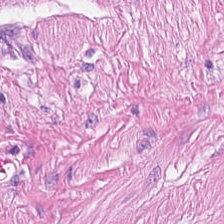WSI patch. H&E. 224×224 px tile. The predominant tissue is muscularis.
